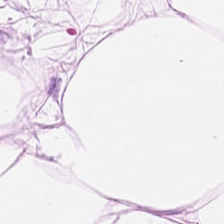Stain: hematoxylin-and-eosin stained section.
Classification: adipose.
